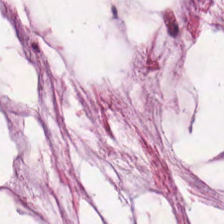0.5 µm per pixel; H&E — Predominant tissue: mucin.
